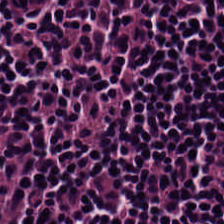Hematoxylin-and-eosin stained section · 224×224 px patch. Predominantly lymphocyte aggregate.
